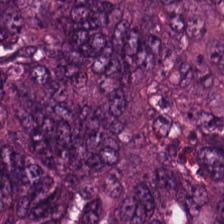FFPE · 20× equivalent magnification · hematoxylin-and-eosin stained section — Tissue — colorectal adenocarcinoma epithelium.
